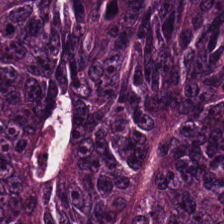Impression — colorectal adenocarcinoma epithelium.
